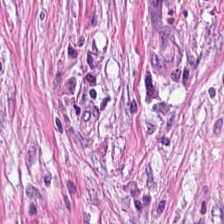H&E — Tissue type — desmoplastic stroma.
